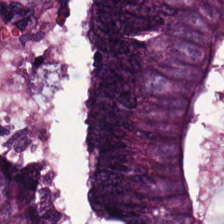The tissue class is colorectal adenocarcinoma epithelium.
